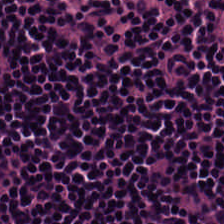H&E stain.
Tissue type: lymphocytic infiltrate.
